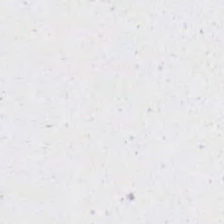0.5 microns per pixel · H&E-stained tissue section — Background.
